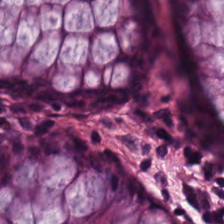Stain: hematoxylin-and-eosin stained section.
Preparation: FFPE tissue section.
Tissue class: non-neoplastic colon mucosa.
